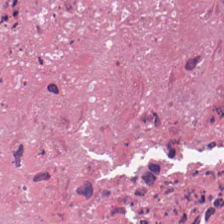H&E-stained tissue section. Predominantly cellular debris.
